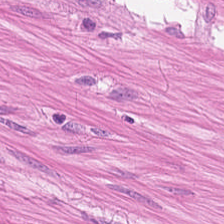Predominantly muscularis.
